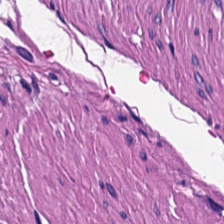H&E — muscularis.
